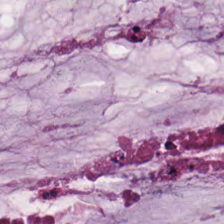20× equivalent magnification; H&E; 224×224 pixel tile.
The classification is mucin.
